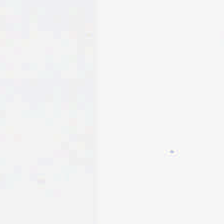Hematoxylin and eosin.
This field is background (no tissue).
